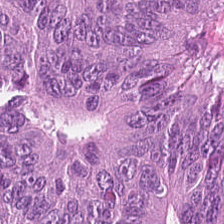FFPE. WSI patch. H&E stain. Predominant tissue — adenocarcinoma.
